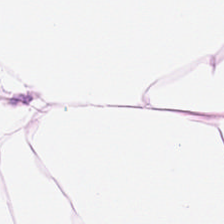Whole-slide-image patch; 224×224 px tile; H&E stain — Q: What tissue is shown?
A: This is fat tissue.
